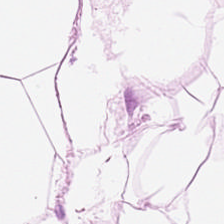0.5 µm per pixel. Hematoxylin and eosin. 224×224 px patch — Predominantly adipose tissue.
